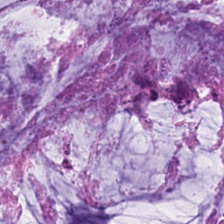Hematoxylin-and-eosin stained section — Tissue type — extracellular mucin.
